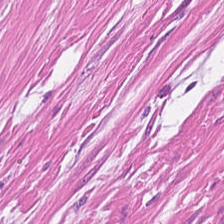Stain: hematoxylin and eosin.
Tile size: 224×224 px patch.
Classification: smooth muscle.
